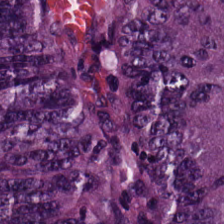20× equivalent magnification. 224×224 px tile. Hematoxylin-and-eosin stained section.
The tissue here is adenocarcinoma.
